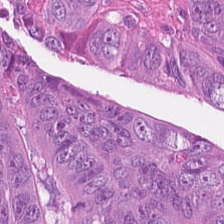H&E-stained tissue section showing tumor epithelium.
